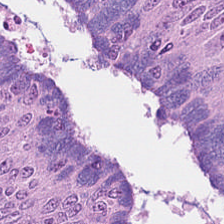Formalin-fixed paraffin-embedded section. H&E-stained tissue section. WSI patch.
Finding → malignant epithelium.
